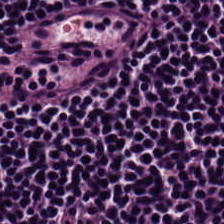Q: What type of tissue is this?
A: It is lymphocyte aggregate.
